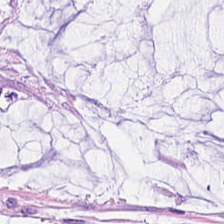Brightfield; hematoxylin-and-eosin stained section; 224×224 px patch — Tissue — mucin.
